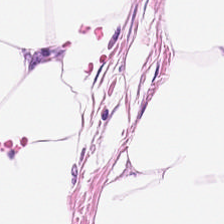FFPE tissue section. H&E stain — Q: What does this patch show?
A: The field shows fat tissue.
